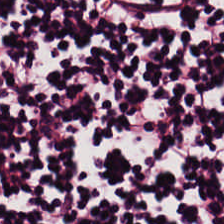Stain: H&E stain.
Classification: lymphocyte aggregate.
